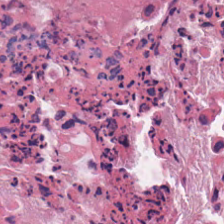FFPE tissue section; H&E stain — Q: Identify the tissue.
A: The field shows cellular debris.
